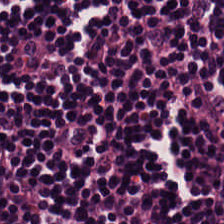The tissue type is lymphocyte aggregate.
